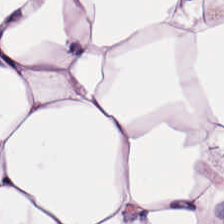Hematoxylin and eosin · whole-slide-image patch. Showing adipocytes.
